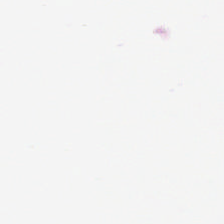H&E; formalin-fixed paraffin-embedded section — The classification is empty background.
